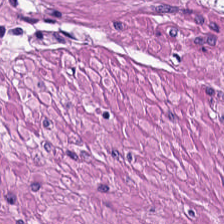Hematoxylin-and-eosin stained section — Tissue — smooth muscle.
